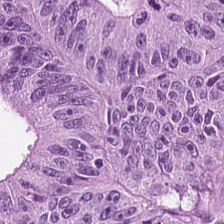Hematoxylin-and-eosin stained section; formalin-fixed paraffin-embedded section.
This patch shows colorectal adenocarcinoma epithelium.
